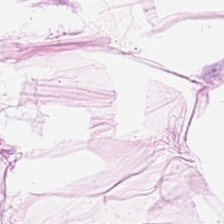This patch shows adipocytes.
